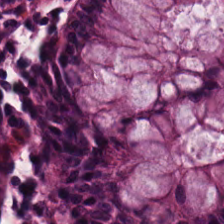H&E-stained tissue section — {"tissue_type": "non-neoplastic colon mucosa"}
